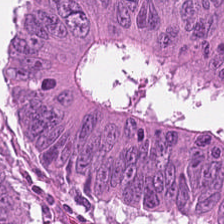H&E stain; FFPE tissue section; 20× equivalent magnification.
The predominant tissue is colorectal adenocarcinoma epithelium.
